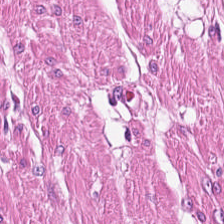Hematoxylin-and-eosin stained section. 0.5 microns per pixel — The predominant tissue is smooth-muscle tissue.
